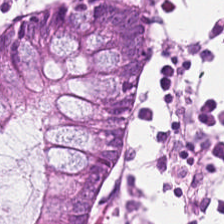H&E stain. Histology — non-neoplastic colon mucosa.
